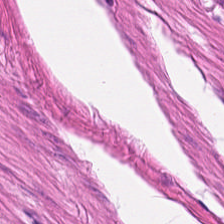Stain: hematoxylin-and-eosin stained section.
Tile size: 224×224 px patch.
Resolution: 0.5 µm/px.
Tissue class: smooth muscle.
